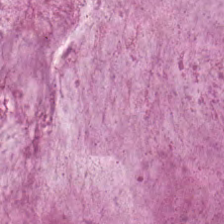224×224 px tile · hematoxylin and eosin.
This patch shows mucus.
